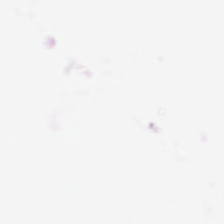Histology — no tissue.
